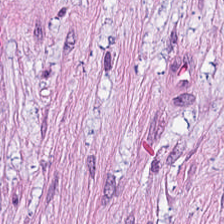Stain: H&E.
Preparation: FFPE tissue section.
Predominant tissue: tumor stroma.
